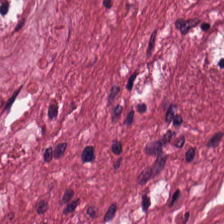Tissue = tumor-associated stroma.
